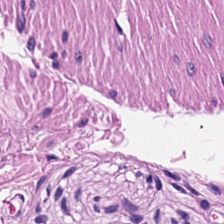FFPE tissue section; H&E — Impression → smooth muscle.
